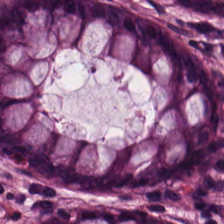The tissue is normal colonic mucosa.
